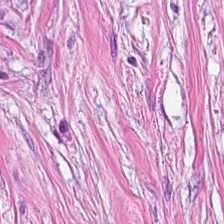0.5 microns per pixel. WSI patch. H&E.
Predominantly desmoplastic stroma.
